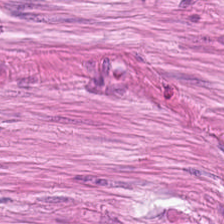Hematoxylin and eosin. Predominant tissue = muscularis.
